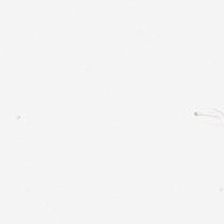H&E stain — This patch shows background.
